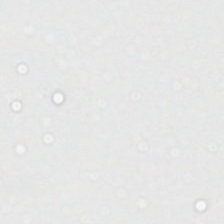Content = background.
